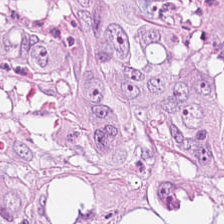Hematoxylin-and-eosin stained section.
The tissue here is colorectal adenocarcinoma.
